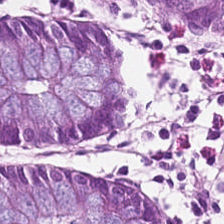H&E stain · FFPE.
Tissue type — non-neoplastic colon mucosa.
